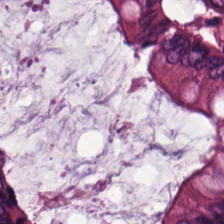224×224 px tile · 0.5 µm/px · H&E — The classification is benign colonic mucosa.
